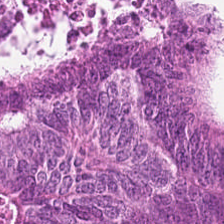FFPE tissue section; hematoxylin and eosin; 0.5 µm per pixel — The predominant tissue is colorectal adenocarcinoma.
